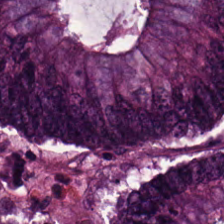Showing tumor epithelium.
